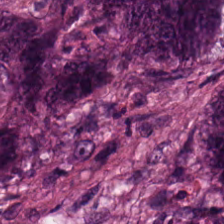Hematoxylin and eosin · brightfield.
The tissue type is malignant epithelium.
